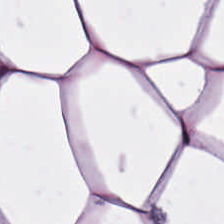H&E — adipocytes.
